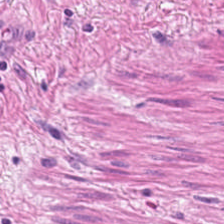H&E.
Q: What tissue type is shown here?
A: This is smooth-muscle tissue.
